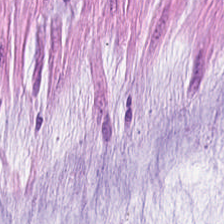224×224 pixel tile; H&E-stained tissue section.
Tissue: mucin.
